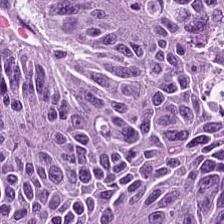Stain: H&E.
Classification: colorectal adenocarcinoma epithelium.
